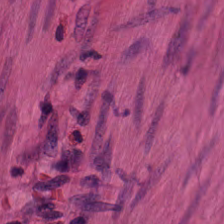Hematoxylin-and-eosin stained section.
Predominantly smooth-muscle tissue.
